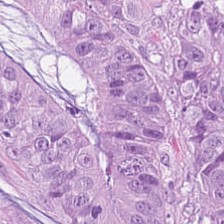The predominant tissue is tumor epithelium.
